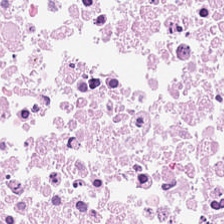224×224 pixel tile; hematoxylin and eosin. Q: What is the predominant tissue type?
A: This is cellular debris.
